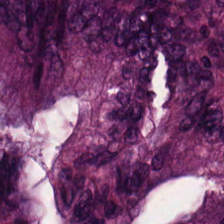Q: Identify the tissue.
A: It is adenocarcinoma.
